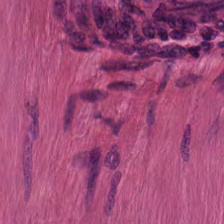WSI patch. Hematoxylin-and-eosin stained section. FFPE tissue section — Tissue type — smooth muscle.
